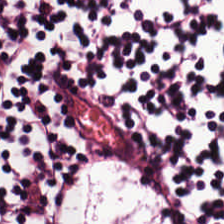H&E-stained tissue section. Tissue class = lymphocytes.
